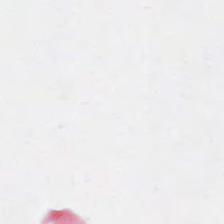H&E stain. Q: Classify this patch.
A: The field shows empty background.
